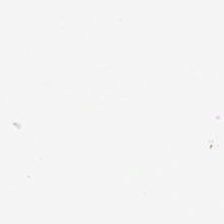H&E stain; brightfield — No tissue present; background only.
